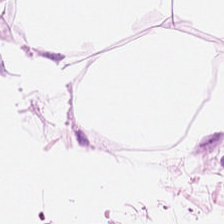Hematoxylin-and-eosin stained section. Finding — fat tissue.
